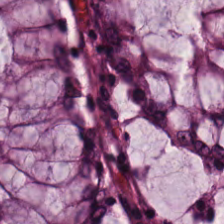H&E-stained tissue section; 0.5 µm per pixel — Tissue class — normal colonic mucosa.
